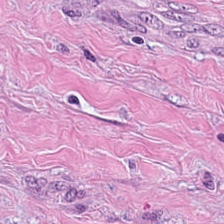FFPE. H&E stain. Predominantly tumor stroma.
